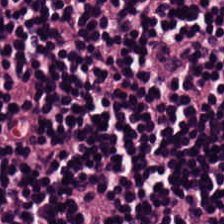Q: What type of tissue is this?
A: Lymphoid infiltrate.
